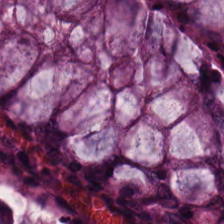Hematoxylin-and-eosin stained section; 224×224 px tile. Classification: benign colonic mucosa.
